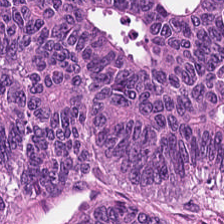Hematoxylin and eosin · 0.5 µm/px · 224×224 px patch.
Finding → colorectal adenocarcinoma epithelium.
